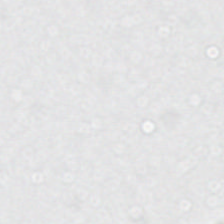H&E stain; 224×224 px patch. Background.
